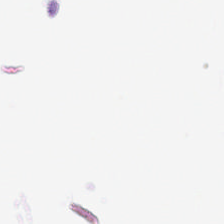Hematoxylin and eosin · FFPE.
Background (no tissue).
